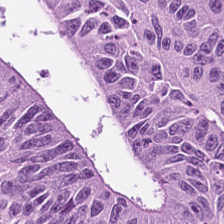Q: What is the predominant tissue type?
A: Colorectal adenocarcinoma epithelium.
